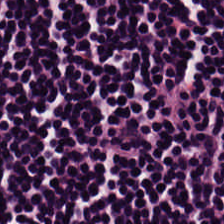Stain: hematoxylin and eosin.
Preparation: formalin-fixed paraffin-embedded section.
Acquisition: whole-slide-image patch.
Tissue: lymphocytes.
